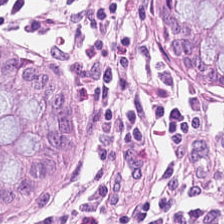Hematoxylin and eosin — Histology → normal colon mucosa.
